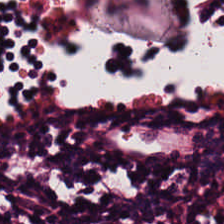0.5 µm/px · formalin-fixed paraffin-embedded section · H&E stain.
Showing lymphoid infiltrate.
